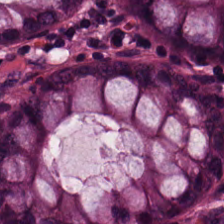H&E — Predominantly benign colonic mucosa.
